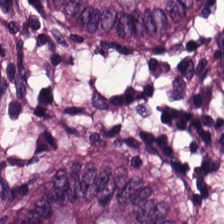H&E-stained tissue section.
Normal colon mucosa.
